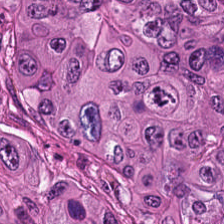H&E stain — Finding → colorectal adenocarcinoma.
